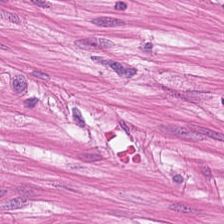20× equivalent magnification; H&E — Q: What is shown here?
A: The field shows smooth muscle.
